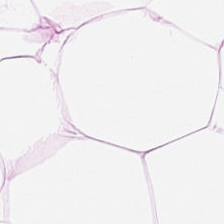Hematoxylin and eosin — The tissue here is adipose.
